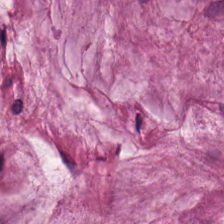H&E — extracellular mucin.
